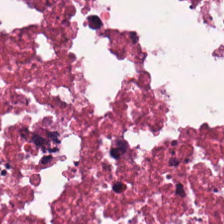H&E stain; 0.5 µm/px; formalin-fixed paraffin-embedded section.
The tissue is necrotic debris.
